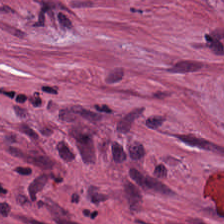Hematoxylin-and-eosin stained section; 224×224 pixel tile — Q: What is the predominant tissue type?
A: The field shows desmoplastic stroma.
